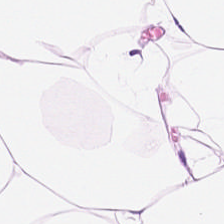Hematoxylin and eosin — Predominantly adipose tissue.
